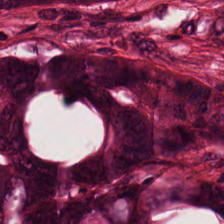H&E stain; brightfield microscopy — {"tissue_type": "colorectal adenocarcinoma"}
